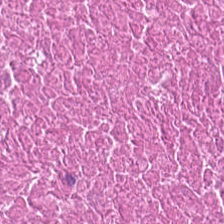Hematoxylin and eosin. Q: What tissue is shown?
A: This is necrotic debris.
